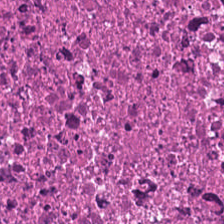Hematoxylin and eosin — Predominant tissue: necrotic debris.
